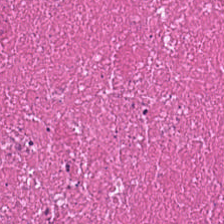H&E stain.
Histology → necrotic debris.
